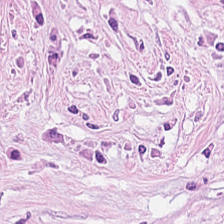Hematoxylin and eosin.
The tissue here is tumor stroma.
